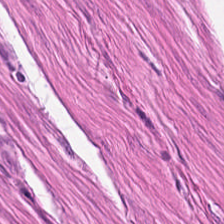H&E · 224×224 pixel tile. Tissue class — smooth muscle.
